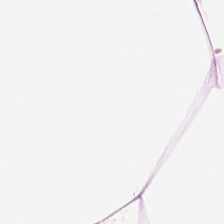Stain: H&E stain.
Predominant tissue: adipose tissue.
